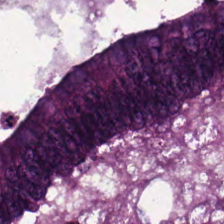The tissue here is tumor epithelium.
